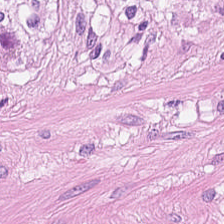Stain: hematoxylin and eosin.
Acquisition: whole-slide-image patch.
Resolution: 0.5 µm/px.
Tissue: muscularis.
